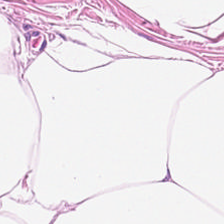Stain: hematoxylin-and-eosin stained section.
Tissue: adipocytes.
